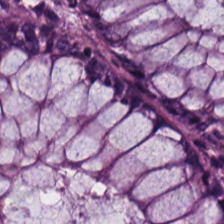H&E stain — Tissue — normal colonic mucosa.
